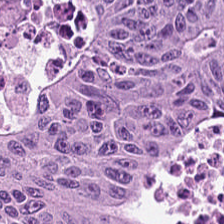Tissue: tumor epithelium.
